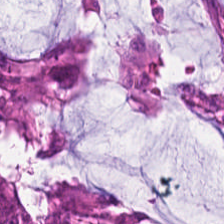Formalin-fixed paraffin-embedded section. 224×224 px patch. H&E — This field is adenocarcinoma.
